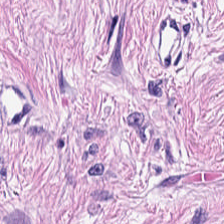H&E — Tissue type: tumor-associated stroma.
